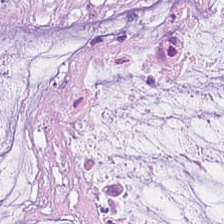The tissue here is extracellular mucin.
